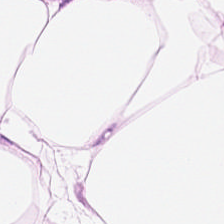Hematoxylin and eosin. Formalin-fixed paraffin-embedded section.
Classification — fat tissue.
